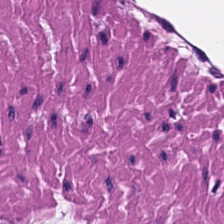Finding — muscularis.
